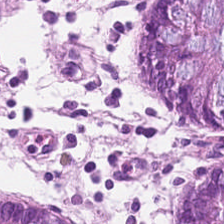Impression — benign colonic mucosa.
